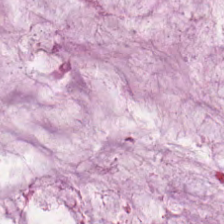H&E stain. Showing extracellular mucin.
